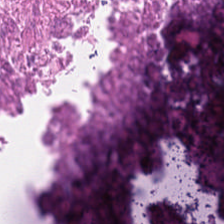Stain: H&E.
Acquisition: WSI patch.
Tissue class: debris.
